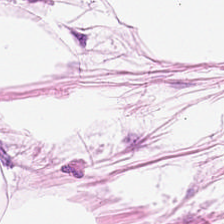FFPE tissue section · hematoxylin-and-eosin stained section · 20× equivalent magnification. Q: Identify the tissue.
A: It is fat tissue.
